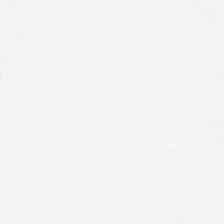Hematoxylin-and-eosin stained section. {"content": "no tissue"}
